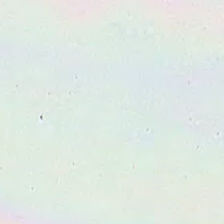H&E · 224×224 px patch. This patch shows background.
